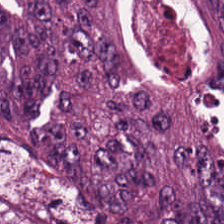224×224 px tile · H&E stain · FFPE tissue section.
Q: What type of tissue is this?
A: This is colorectal adenocarcinoma.
